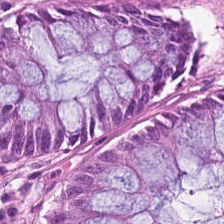{"tissue_type": "normal colonic mucosa"}
